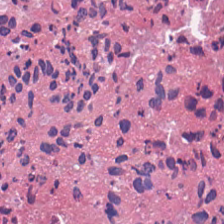FFPE tissue section; 0.5 µm/px; H&E-stained tissue section. Tissue type — cellular debris.
